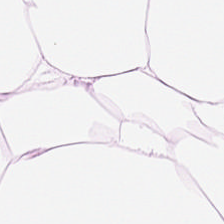Q: What is the predominant tissue type?
A: The field shows adipose.
